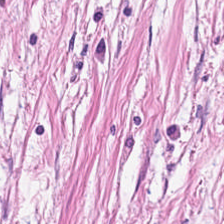H&E · 20× equivalent magnification — Q: What is the predominant tissue type?
A: This is tumor stroma.
